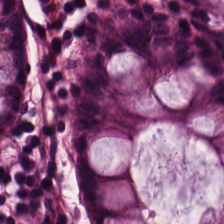224×224 pixel tile · hematoxylin-and-eosin stained section — This field is non-neoplastic colon mucosa.
